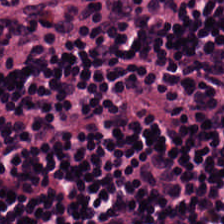H&E stain. The predominant tissue is lymphocytic infiltrate.
